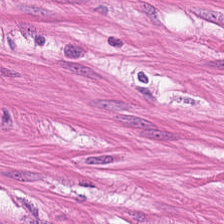Hematoxylin and eosin — This patch shows smooth-muscle tissue.
